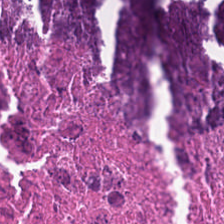The tissue here is debris.
